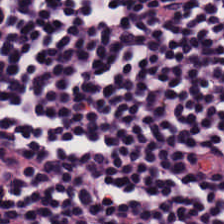WSI patch. H&E-stained tissue section. This field is lymphoid infiltrate.
